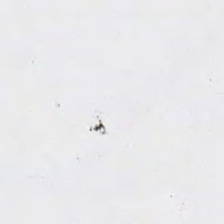Field content — empty background.
